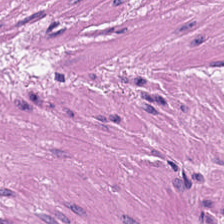Hematoxylin-and-eosin stained section.
Showing smooth-muscle tissue.
